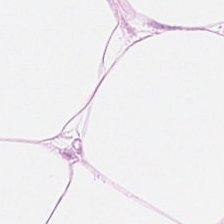Stain: H&E.
Tissue type: adipocytes.
